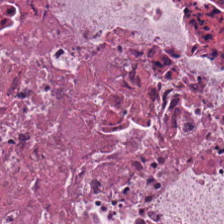Q: What tissue type is shown here?
A: The field shows debris.
